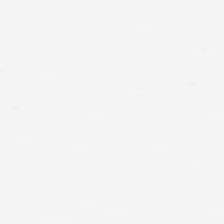H&E; brightfield microscopy; 0.5 µm/px.
Histology → background (no tissue).
